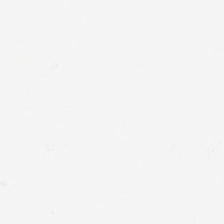FFPE tissue section. Hematoxylin and eosin. 0.5 µm/px.
No tissue present; background only.
